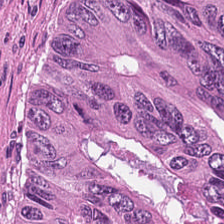H&E-stained tissue section showing debris.
